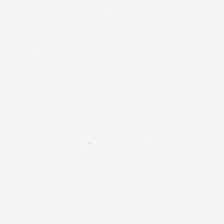This field is background (no tissue).
